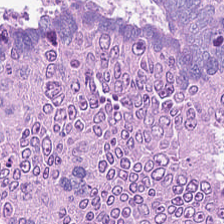Hematoxylin and eosin — Showing tumor epithelium.
